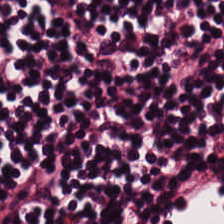224×224 px patch; hematoxylin-and-eosin stained section — Predominant tissue = lymphocytic infiltrate.
